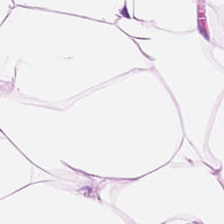Q: Classify this patch.
A: It is fat tissue.
